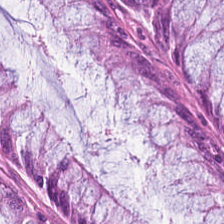Showing normal colonic mucosa.
